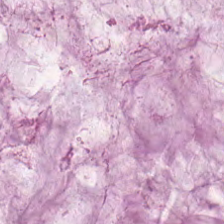Hematoxylin and eosin.
{"tissue_type": "extracellular mucin"}
